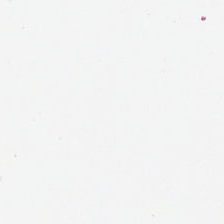Content: no tissue.
